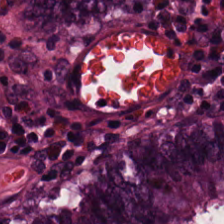Stain: H&E stain.
Tissue class: non-neoplastic colon mucosa.
